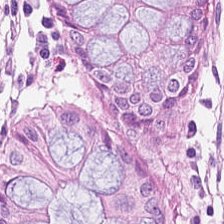FFPE. 224×224 pixel tile. Hematoxylin and eosin.
Classification: non-neoplastic colon mucosa.
